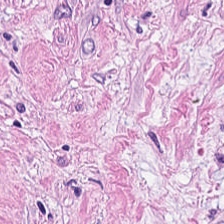This field is desmoplastic stroma.
